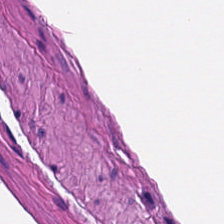H&E stain. Finding — smooth-muscle tissue.
